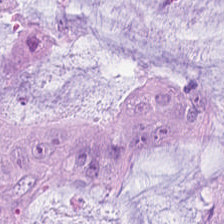H&E patch showing mucin.
